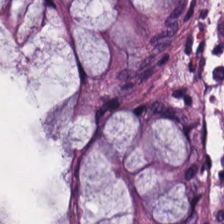H&E-stained tissue section; brightfield — Q: What tissue type is shown here?
A: This is normal colon mucosa.
